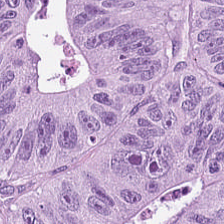Stain: H&E stain.
Classification: tumor epithelium.
